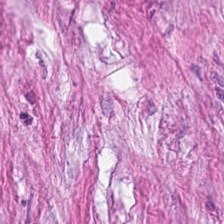Stain: hematoxylin-and-eosin stained section.
Acquisition: brightfield microscopy.
Tissue class: tumor stroma.
